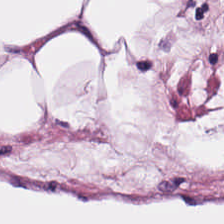H&E.
Classification — adipose tissue.
